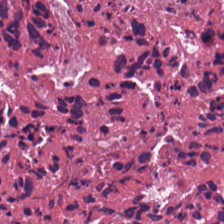Hematoxylin-and-eosin section: cellular debris.
